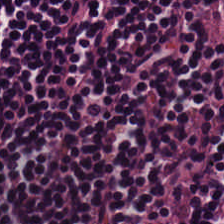H&E stain. The predominant tissue is lymphocyte aggregate.
